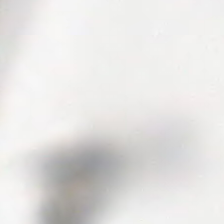{"content": "no tissue"}
